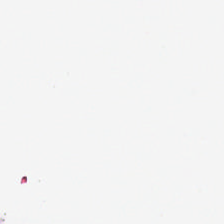WSI patch; hematoxylin and eosin. Histology → background.
